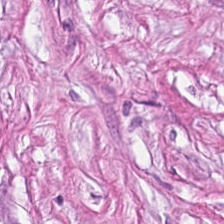Hematoxylin and eosin. Brightfield microscopy.
Desmoplastic stroma.
